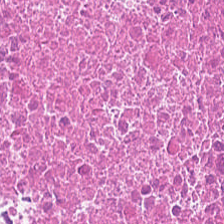Whole-slide-image patch; hematoxylin-and-eosin stained section; FFPE tissue section — Classification — cellular debris.
